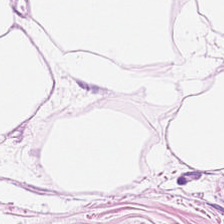Stain: hematoxylin and eosin.
Resolution: 0.5 µm per pixel.
Preparation: formalin-fixed paraffin-embedded section.
Predominant tissue: adipose.
